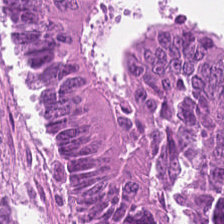Hematoxylin and eosin — {"tissue_type": "malignant epithelium"}
